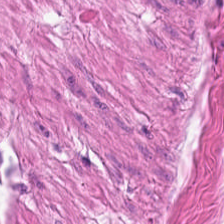Brightfield. H&E. 224×224 px tile. This field is muscularis.
